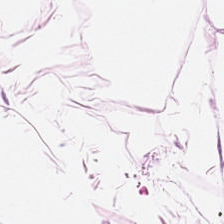Finding — adipose.
